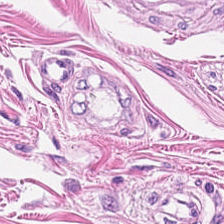Q: What is shown in this field?
A: This is muscularis.
